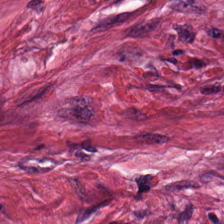Brightfield microscopy · H&E stain · 0.5 µm/px.
The tissue type is cancer-associated stroma.
